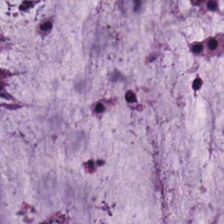Brightfield · H&E-stained tissue section · 224×224 px patch. Extracellular mucin.
